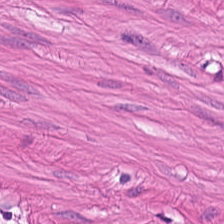H&E — Histology — muscularis.
